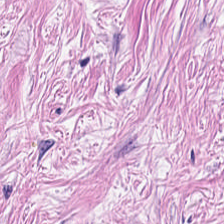Brightfield microscopy; H&E-stained tissue section. Tissue type: cancer-associated stroma.
